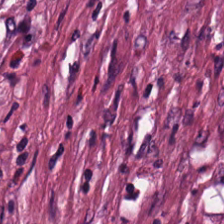0.5 microns per pixel; H&E-stained tissue section. Tissue type — desmoplastic stroma.
